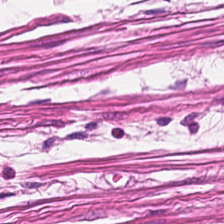Q: What is shown here?
A: The field shows muscularis.
